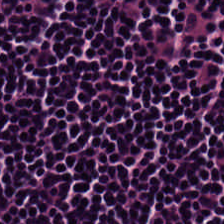Tissue type — lymphoid infiltrate.
